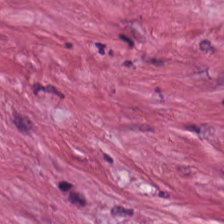Hematoxylin-and-eosin stained section. 224×224 pixel tile. FFPE tissue section. Histology → tumor-associated stroma.
